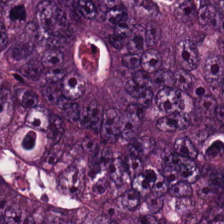0.5 µm per pixel. Hematoxylin and eosin. Brightfield microscopy — Tissue class — adenocarcinoma.
